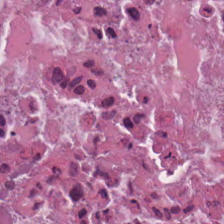224×224 pixel tile · H&E. Classification: cellular debris.
